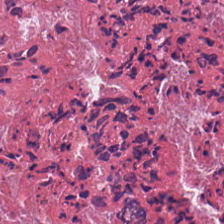H&E patch showing necrotic debris.
